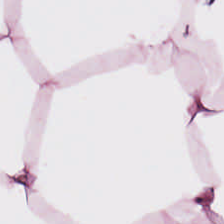Brightfield. H&E-stained tissue section.
Tissue class: adipocytes.
